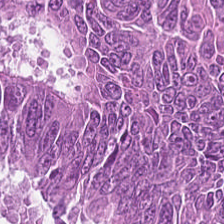Formalin-fixed paraffin-embedded section. H&E stain. Whole-slide-image patch. Q: Identify the tissue.
A: The field shows malignant epithelium.
